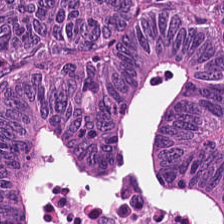Tissue class — colorectal adenocarcinoma epithelium.
